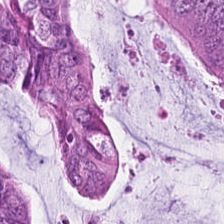H&E stain · 0.5 microns per pixel · FFPE tissue section. Predominant tissue = malignant epithelium.
